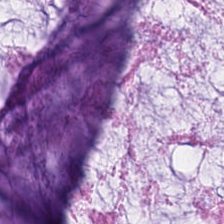Hematoxylin and eosin — The predominant tissue is mucus.
